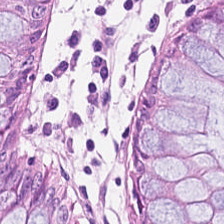Stain: H&E-stained tissue section.
Resolution: 20× equivalent magnification.
Predominant tissue: benign colonic mucosa.
